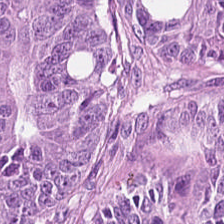WSI patch; H&E. This field is colorectal adenocarcinoma.
